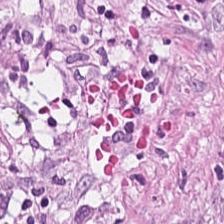Whole-slide-image patch · H&E.
Predominant tissue — cancer-associated stroma.
